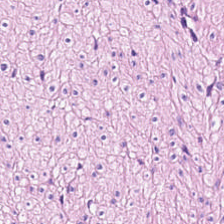FFPE; hematoxylin-and-eosin stained section.
Q: What tissue is shown?
A: This is muscularis.
